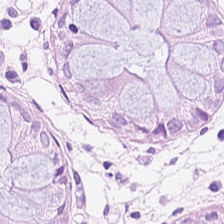Hematoxylin-and-eosin stained section.
Q: What is the predominant tissue type?
A: Benign colonic mucosa.
